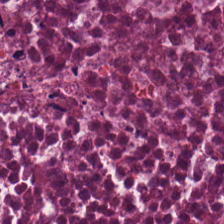H&E.
Histology — cellular debris.
